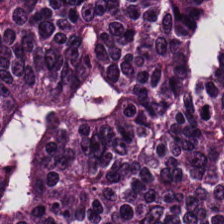H&E stain. The tissue here is colorectal adenocarcinoma.
